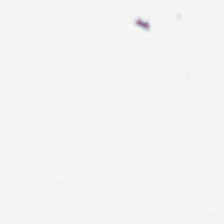H&E · formalin-fixed paraffin-embedded section. Empty field — background (no tissue).
